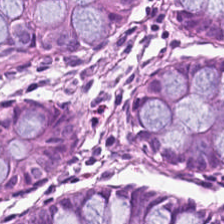Classification — non-neoplastic colon mucosa.
